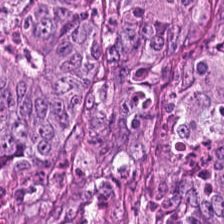H&E; WSI patch; 224×224 pixel tile. Tissue type: colorectal adenocarcinoma.
